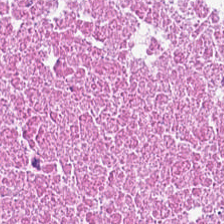Hematoxylin-and-eosin section: debris.
